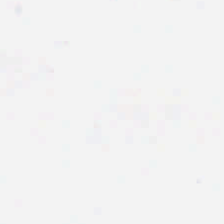Background (no tissue).
